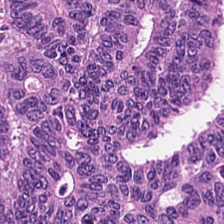H&E-stained tissue section — The classification is tumor epithelium.
